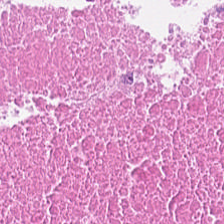H&E-stained tissue section. Tissue class — cellular debris.
